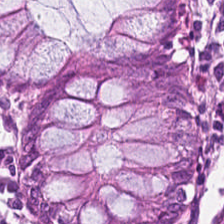WSI patch · hematoxylin-and-eosin stained section — Finding → benign colonic mucosa.
